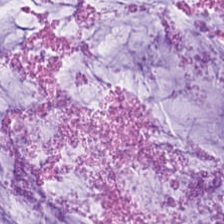Whole-slide-image patch; hematoxylin-and-eosin stained section.
Tissue class — mucus.
